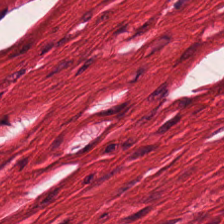Finding → muscularis.
